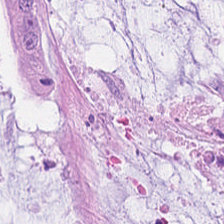H&E-stained tissue section · formalin-fixed paraffin-embedded section · brightfield microscopy.
Classification: mucus.
